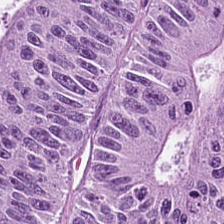H&E stain — Tissue: colorectal adenocarcinoma epithelium.
